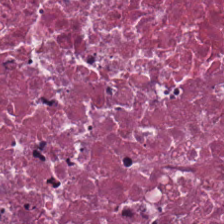Tissue type = cellular debris.
